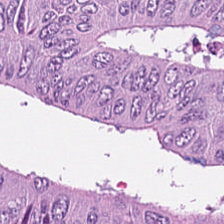H&E. Whole-slide-image patch — {"tissue_type": "colorectal adenocarcinoma epithelium"}
